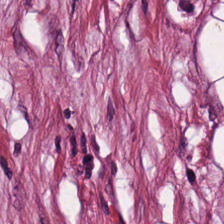Hematoxylin-and-eosin stained section; 0.5 µm/px; 224×224 px tile. Impression → desmoplastic stroma.
